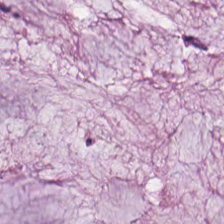Brightfield · H&E stain.
The classification is extracellular mucin.
